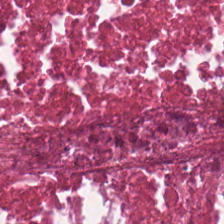Hematoxylin and eosin · 0.5 microns per pixel · brightfield — This patch shows debris.
